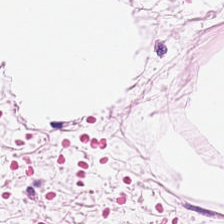Hematoxylin and eosin.
Tissue type = adipocytes.
